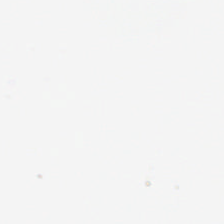{"content": "empty background"}
